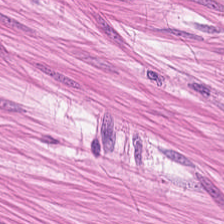Hematoxylin and eosin. Smooth-muscle tissue.
